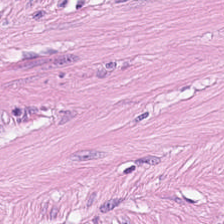H&E-stained tissue section showing smooth muscle.
